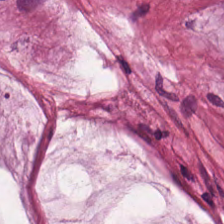H&E. 0.5 microns per pixel. FFPE — The predominant tissue is mucus.
